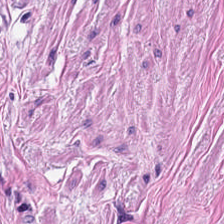H&E stain.
Histology — muscularis.
